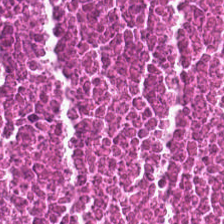Q: What does this patch show?
A: It is necrotic debris.
